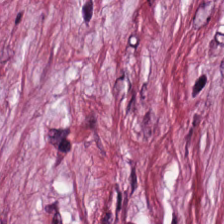Stain: H&E.
Acquisition: WSI patch.
Predominant tissue: cancer-associated stroma.
